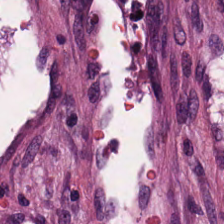Stain: H&E stain.
Tissue class: desmoplastic stroma.
